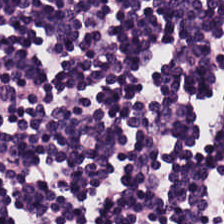Hematoxylin-and-eosin stained section. Q: What tissue is shown?
A: Lymphocyte aggregate.
